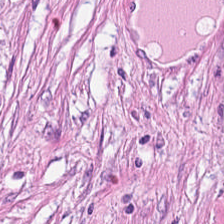Histology → tumor-associated stroma.
